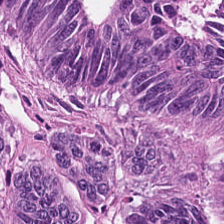H&E; FFPE; 0.5 microns per pixel.
This patch shows malignant epithelium.
